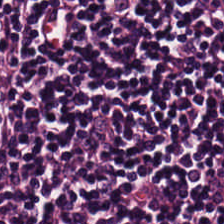The predominant tissue is lymphocytes.
